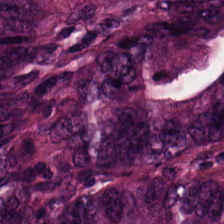H&E. The tissue is tumor epithelium.
